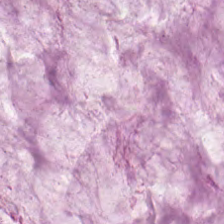224×224 pixel tile · 0.5 microns per pixel · H&E — Q: What is the predominant tissue type?
A: It is mucin.
